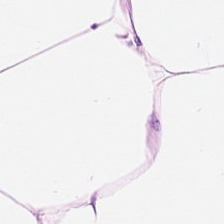H&E. Classification = adipose tissue.
